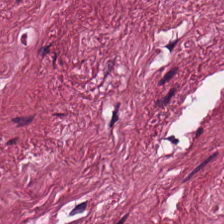H&E stain. {"tissue_type": "tumor-associated stroma"}
